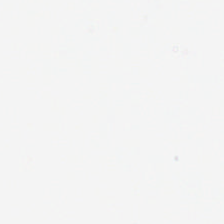Hematoxylin-and-eosin stained section. The content is background (no tissue).
